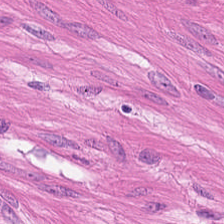Hematoxylin and eosin; FFPE tissue section.
Showing smooth muscle.
